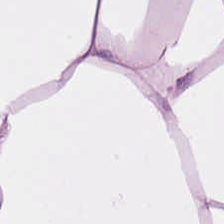H&E patch showing fat tissue.
